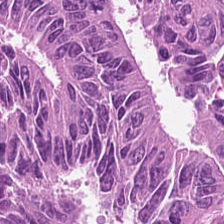Q: What type of tissue is this?
A: This is tumor epithelium.
